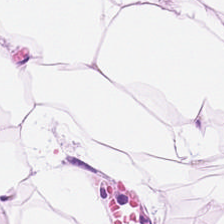Hematoxylin and eosin. Showing fat tissue.
